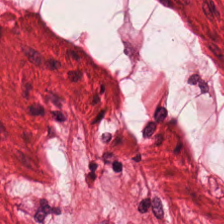H&E-stained tissue section showing muscularis.
